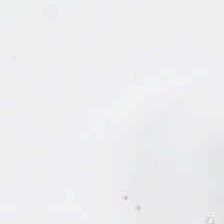Histology → background (no tissue).
